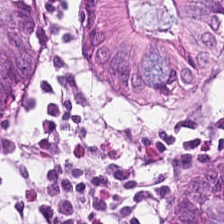Whole-slide-image patch. FFPE. H&E.
Classification: non-neoplastic colon mucosa.
